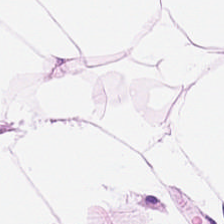0.5 µm per pixel. Whole-slide-image patch. Hematoxylin-and-eosin stained section. This field is adipose tissue.
